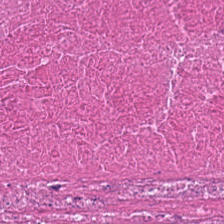Hematoxylin and eosin.
The tissue class is cellular debris.
